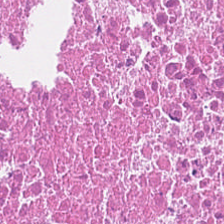Hematoxylin and eosin. Finding — debris.
